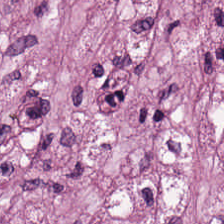H&E-stained tissue section. The classification is cancer-associated stroma.
